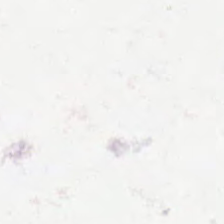Hematoxylin-and-eosin stained section.
Finding → no tissue.
